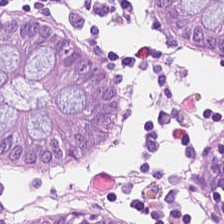Hematoxylin-and-eosin section: normal colon mucosa.
